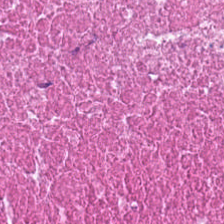H&E-stained section; the field shows necrotic debris.
